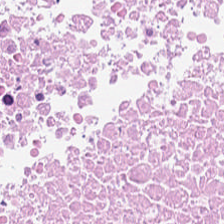Finding → debris.
